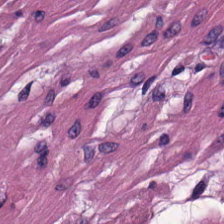Brightfield · H&E · 0.5 µm/px — The predominant tissue is muscularis.
